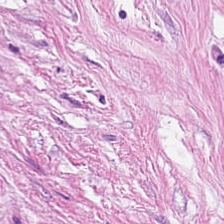Stain: H&E stain.
Preparation: formalin-fixed paraffin-embedded section.
Tile size: 224×224 pixel tile.
Tissue class: desmoplastic stroma.
